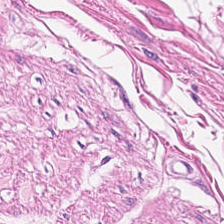H&E. 224×224 px tile. FFPE tissue section — Predominantly smooth-muscle tissue.
